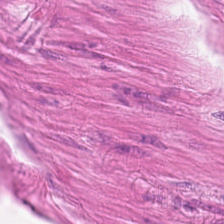Hematoxylin-and-eosin stained section — Predominant tissue: smooth-muscle tissue.
